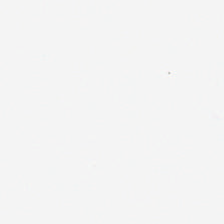Hematoxylin-and-eosin stained section · 224×224 pixel tile — Field content — no tissue.
